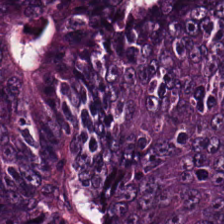Finding → tumor epithelium.
